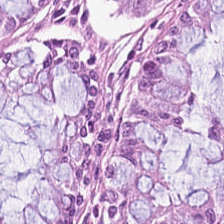224×224 px patch. H&E-stained tissue section. Brightfield. Classification — non-neoplastic colon mucosa.
